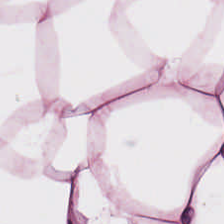Tissue = fat tissue.
